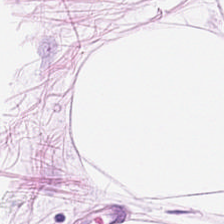Stain: hematoxylin-and-eosin stained section.
Predominant tissue: adipocytes.
